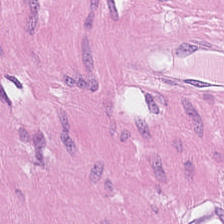224×224 px tile; FFPE; hematoxylin and eosin — Q: Identify the tissue.
A: The field shows smooth muscle.
